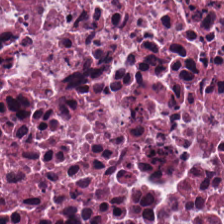Stain: H&E-stained tissue section.
Preparation: formalin-fixed paraffin-embedded section.
Classification: debris.
